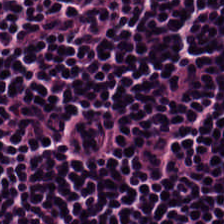Hematoxylin-and-eosin stained section; 224×224 pixel tile; formalin-fixed paraffin-embedded section. The predominant tissue is lymphoid infiltrate.
